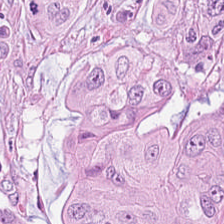Predominant tissue — adenocarcinoma.
